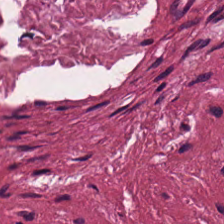H&E stain.
Q: What is shown in this field?
A: It is tumor stroma.
